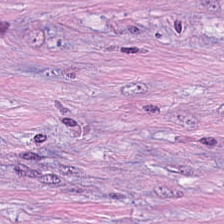Tissue class — tumor stroma.
